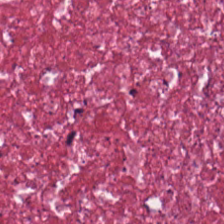224×224 pixel tile; H&E — Q: What tissue type is shown here?
A: This is tumor-associated stroma.
